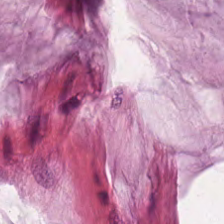H&E · brightfield — Classification: extracellular mucin.
